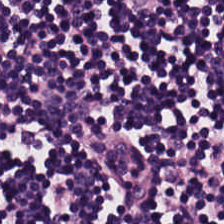0.5 µm/px. H&E-stained tissue section. The predominant tissue is lymphoid infiltrate.
